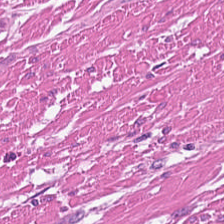H&E stain — Tissue class = smooth-muscle tissue.
